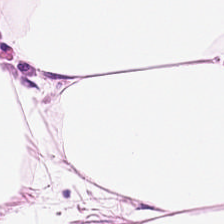H&E — The predominant tissue is adipose.
